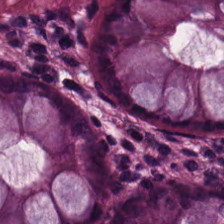Q: What tissue type is shown here?
A: Normal colonic mucosa.
